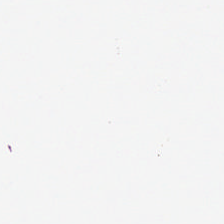H&E. Content — empty background.
